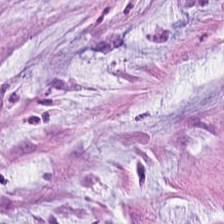H&E stain.
Q: What is shown in this field?
A: Mucin.
